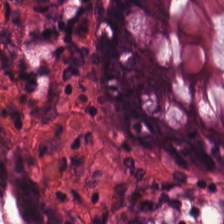H&E. FFPE. 0.5 µm per pixel. Normal colonic mucosa.
